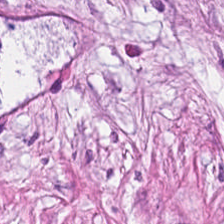Hematoxylin-and-eosin section: cancer-associated stroma.
